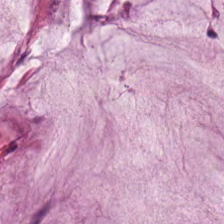H&E.
The tissue here is mucin.
